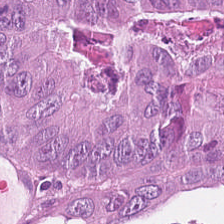Hematoxylin-and-eosin stained section — Q: What is shown here?
A: The field shows colorectal adenocarcinoma.
